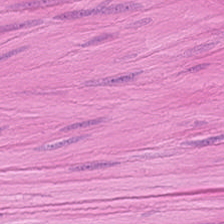Hematoxylin-and-eosin stained section. 0.5 µm/px. Q: What tissue is shown?
A: The field shows smooth-muscle tissue.
